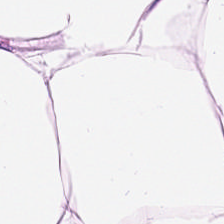H&E.
Tissue class = adipose.
